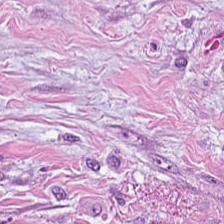FFPE; H&E stain — Q: What is shown here?
A: It is desmoplastic stroma.
